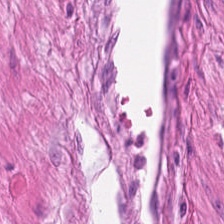H&E — The predominant tissue is muscularis.
